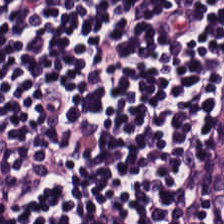Hematoxylin and eosin. This patch shows lymphocytic infiltrate.
